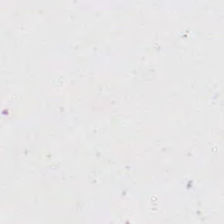This patch shows background (no tissue).
